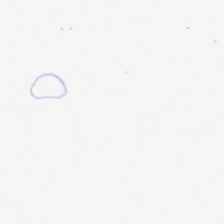Hematoxylin and eosin. Whole-slide-image patch. 20× equivalent magnification — Histology — no tissue.
